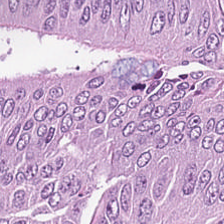WSI patch; formalin-fixed paraffin-embedded section; H&E stain. Q: What is the predominant tissue type?
A: The field shows colorectal adenocarcinoma.
